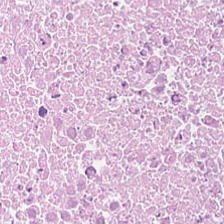H&E stain · brightfield microscopy — The predominant tissue is necrotic debris.
